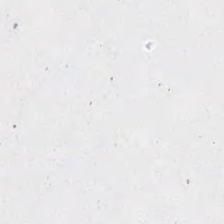FFPE. H&E-stained tissue section.
Background — no tissue in this field.
